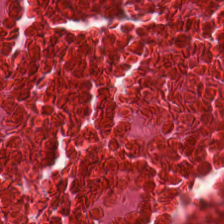H&E-stained tissue section. Whole-slide-image patch — Histology → necrotic debris.
